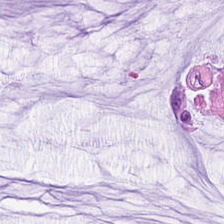Q: What tissue is shown?
A: Mucin.
